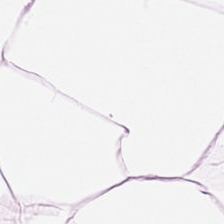0.5 µm/px; hematoxylin-and-eosin stained section — Adipose.
